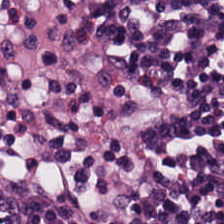H&E-stained tissue section · whole-slide-image patch — The tissue here is lymphocytes.
